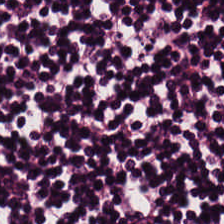Hematoxylin and eosin.
Q: What type of tissue is this?
A: Lymphocytic infiltrate.
